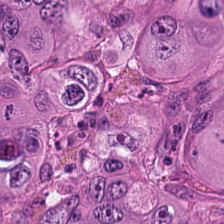H&E stain.
The tissue here is malignant epithelium.
